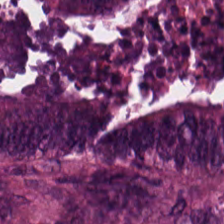H&E.
Predominantly malignant epithelium.
